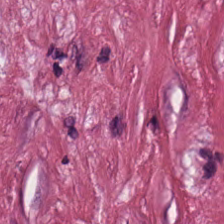H&E stain.
Tissue: desmoplastic stroma.
